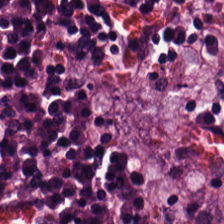H&E — Predominantly colorectal adenocarcinoma.
